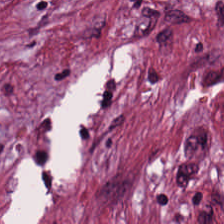Q: What is shown here?
A: It is desmoplastic stroma.
